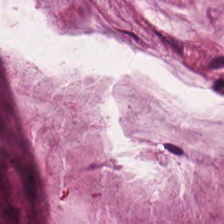Hematoxylin and eosin — Q: What tissue is shown?
A: The field shows mucin.
